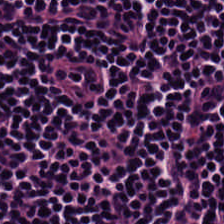H&E; brightfield.
This patch shows lymphocytes.
